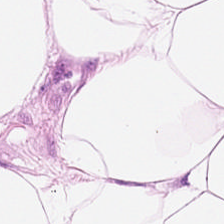Stain: hematoxylin-and-eosin stained section.
Predominant tissue: adipose.
